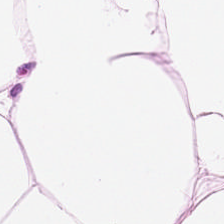H&E. Whole-slide-image patch.
Finding — adipocytes.
